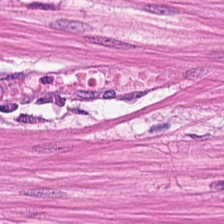Brightfield microscopy · H&E-stained tissue section. {"tissue_type": "smooth-muscle tissue"}
